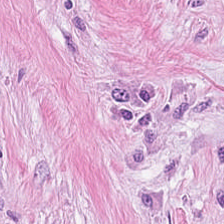Hematoxylin-and-eosin stained section.
The predominant tissue is cancer-associated stroma.
